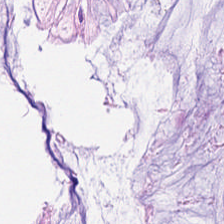Predominant tissue = normal colonic mucosa.
